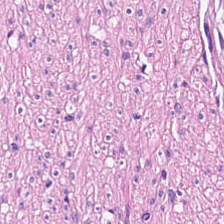Stain: H&E-stained tissue section.
Resolution: 20× equivalent magnification.
Tile size: 224×224 px patch.
Classification: smooth-muscle tissue.
